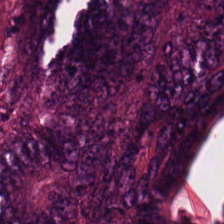0.5 µm/px; hematoxylin and eosin; brightfield microscopy — The tissue class is adenocarcinoma.
